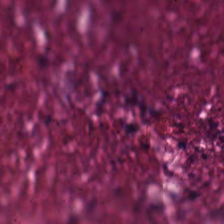Predominant tissue = cellular debris.
